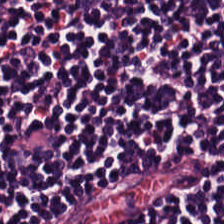Stain: H&E-stained tissue section.
Classification: lymphoid infiltrate.
